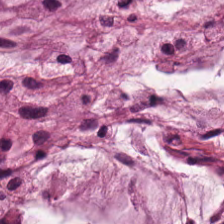Hematoxylin and eosin — Histology → mucin.
